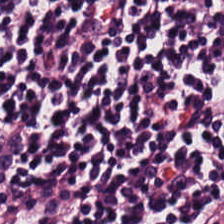Stain: hematoxylin-and-eosin stained section.
Acquisition: whole-slide-image patch.
Resolution: 0.5 µm/px.
Tissue class: lymphocytic infiltrate.
